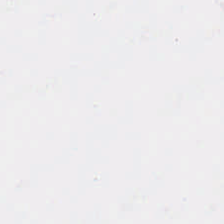H&E stain. Whole-slide-image patch. Empty field — background.
